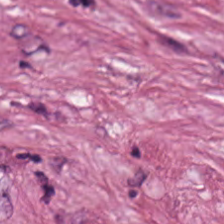Stain: H&E stain.
Tile size: 224×224 px patch.
Acquisition: brightfield.
Tissue type: cancer-associated stroma.
